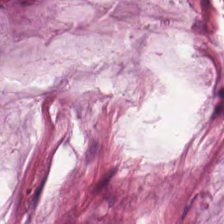Stain: H&E-stained tissue section.
Tissue: mucus.
